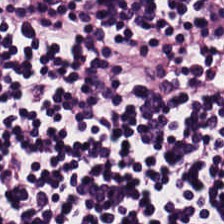FFPE tissue section · H&E stain — {"tissue_type": "lymphoid infiltrate"}
